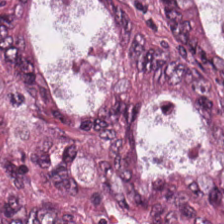Stain: hematoxylin-and-eosin stained section.
Predominant tissue: tumor epithelium.
